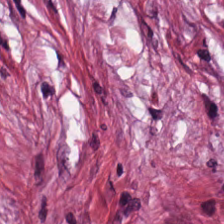Hematoxylin-and-eosin stained section.
Tissue type: desmoplastic stroma.
